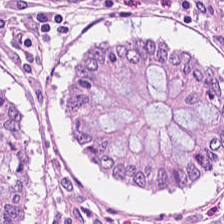Hematoxylin and eosin · brightfield microscopy — The tissue here is benign colonic mucosa.
